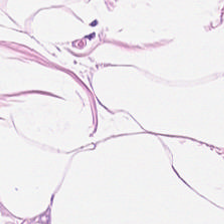H&E-stained tissue section.
This field is fat tissue.
